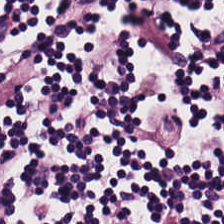Q: What is the predominant tissue type?
A: Lymphoid infiltrate.
